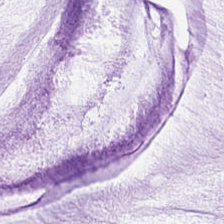Stain: H&E.
Acquisition: whole-slide-image patch.
Classification: extracellular mucin.
